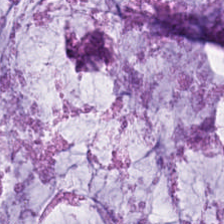H&E — Finding — extracellular mucin.
